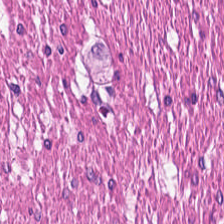This patch shows muscularis.
